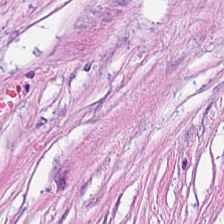H&E stain — Finding → tumor-associated stroma.
